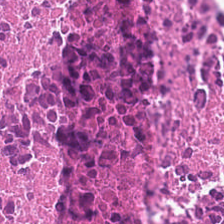Tissue class: cellular debris.
